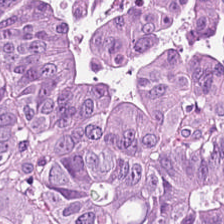Showing malignant epithelium.
